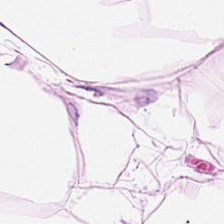H&E.
Classification = adipocytes.
